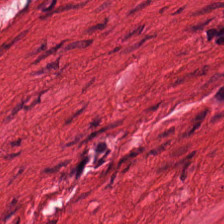Hematoxylin-and-eosin stained section · FFPE. Q: What tissue is shown?
A: The field shows muscularis.
